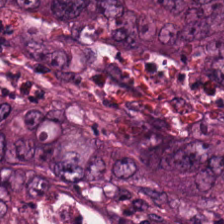Whole-slide-image patch. H&E. Q: Identify the tissue.
A: Adenocarcinoma.
